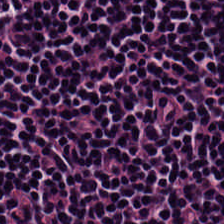Stain: hematoxylin-and-eosin stained section.
Predominant tissue: lymphocytes.
